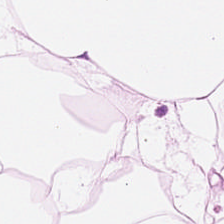Hematoxylin-and-eosin stained section.
Tissue = adipose.
